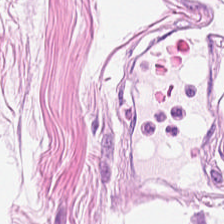H&E-stained tissue section — Predominant tissue: adipose.
